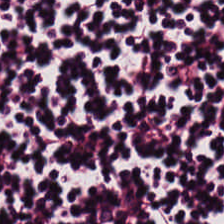224×224 px tile; hematoxylin and eosin; 20× equivalent magnification — Q: Classify this patch.
A: The field shows lymphoid infiltrate.
